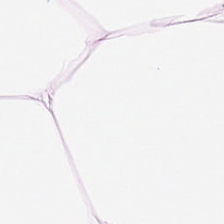H&E. 224×224 px patch. {"tissue_type": "fat tissue"}
